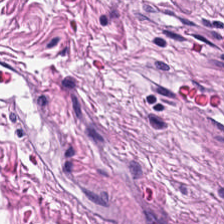Hematoxylin-and-eosin stained section · FFPE tissue section · 224×224 px patch.
{"tissue_type": "smooth muscle"}
